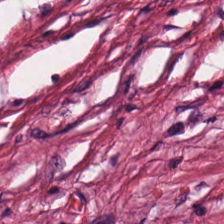Tissue type — tumor stroma.
